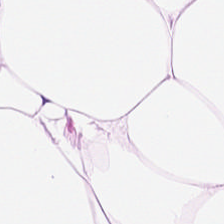H&E. WSI patch. FFPE tissue section — Showing adipocytes.
